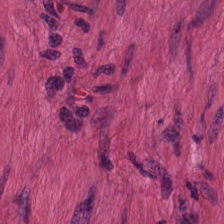H&E stain. The tissue here is smooth muscle.
